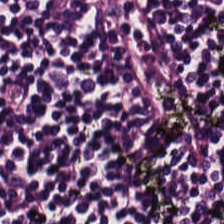Showing lymphocyte aggregate.
